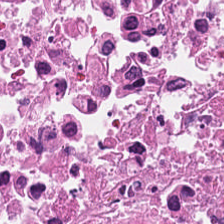H&E — The tissue here is debris.
